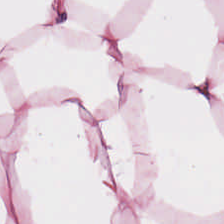FFPE; hematoxylin and eosin; 0.5 µm per pixel.
The predominant tissue is adipose.
